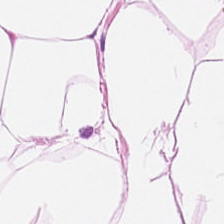Stain: hematoxylin-and-eosin stained section.
Acquisition: whole-slide-image patch.
Tissue: adipose.
